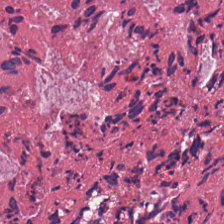H&E stain. Predominant tissue = cellular debris.
